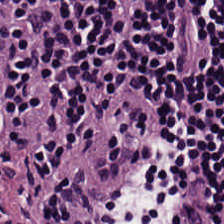H&E — Predominantly lymphocyte aggregate.
